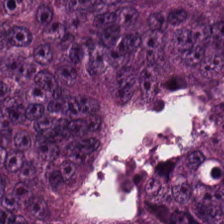20× equivalent magnification; hematoxylin and eosin.
Histology → colorectal adenocarcinoma.
